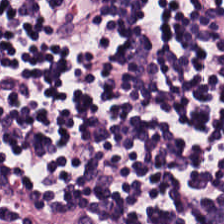Stain: H&E stain.
Tissue: lymphoid infiltrate.
